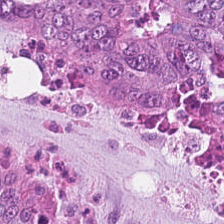H&E-stained tissue section. Brightfield microscopy. Tumor epithelium.
